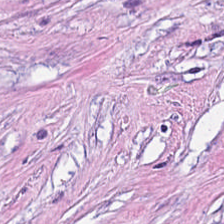Stain: hematoxylin and eosin.
Tissue class: cancer-associated stroma.
